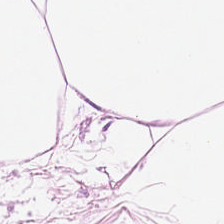0.5 microns per pixel; 224×224 px tile; hematoxylin and eosin.
Tissue class: adipose.
